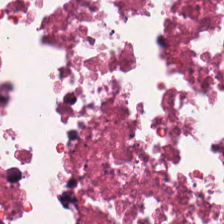Hematoxylin-and-eosin stained section · 20× equivalent magnification.
Predominant tissue — debris.
